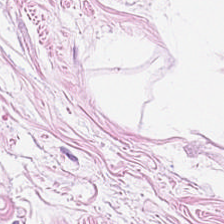The classification is fat tissue.
